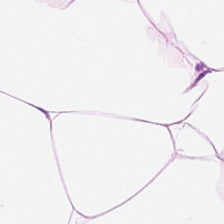224×224 pixel tile; hematoxylin and eosin.
Q: What does this patch show?
A: It is adipose tissue.
